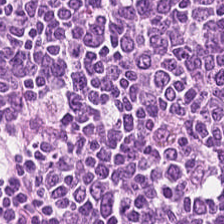Hematoxylin-and-eosin stained section. Histology → lymphocytic infiltrate.
